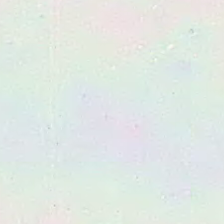FFPE. H&E-stained tissue section. Impression → background.
